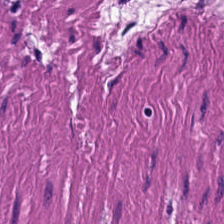Stain: H&E-stained tissue section.
Acquisition: whole-slide-image patch.
Tissue type: muscularis.
